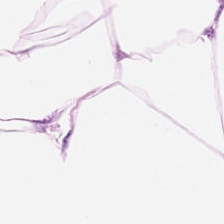Stain: H&E stain.
Resolution: 20× equivalent magnification.
Tissue class: adipose tissue.
